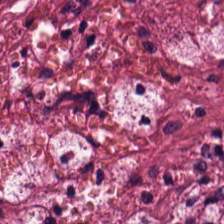Classification — tumor stroma.
